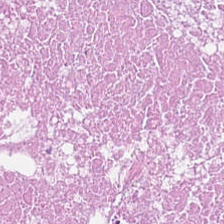H&E-stained tissue section.
The tissue class is debris.
